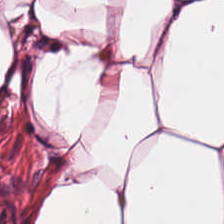Hematoxylin-and-eosin stained section; 0.5 microns per pixel — Adipocytes.
